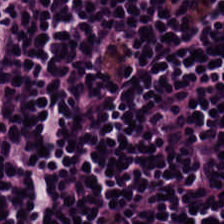Hematoxylin-and-eosin stained section.
Predominant tissue = lymphoid infiltrate.
